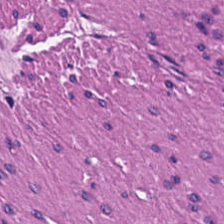Stain: H&E-stained tissue section.
Tissue class: smooth muscle.
